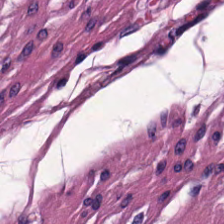224×224 pixel tile; H&E; formalin-fixed paraffin-embedded section. Q: What tissue type is shown here?
A: The field shows smooth muscle.
